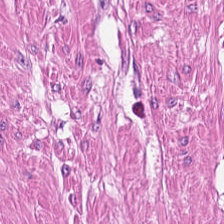H&E. FFPE. 224×224 px patch. Tissue: muscularis.
